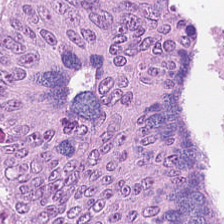H&E-stained tissue section. FFPE.
{"tissue_type": "colorectal adenocarcinoma epithelium"}
